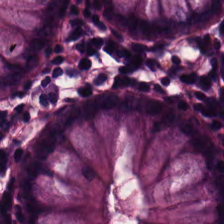Hematoxylin and eosin · 0.5 microns per pixel. Showing normal colon mucosa.
